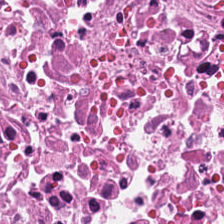H&E.
The tissue here is cellular debris.
